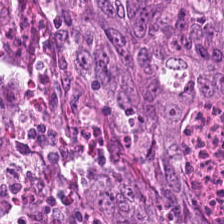H&E; whole-slide-image patch.
Q: Classify this patch.
A: Colorectal adenocarcinoma epithelium.
